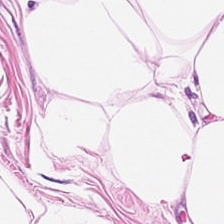This field is adipose tissue.
